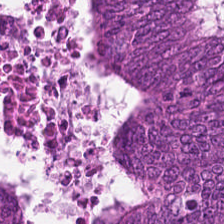H&E-stained tissue section. Classification = adenocarcinoma.
